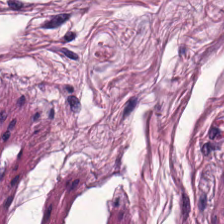224×224 px tile · H&E-stained tissue section — Showing smooth muscle.
